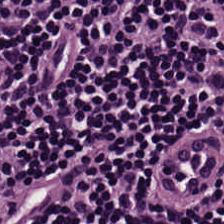This field is lymphoid infiltrate.
